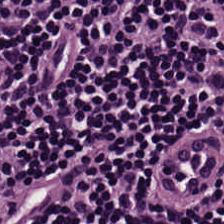This field is lymphoid infiltrate.
